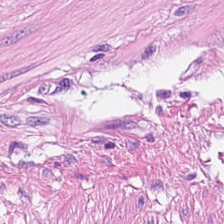H&E-stained tissue section. 0.5 microns per pixel — Predominantly muscularis.
